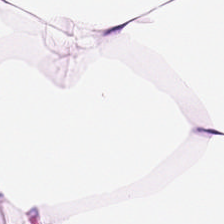0.5 microns per pixel · H&E stain — Showing fat tissue.
